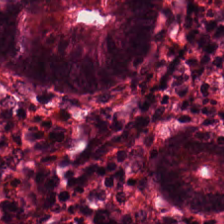WSI patch · H&E.
Predominantly normal colon mucosa.
